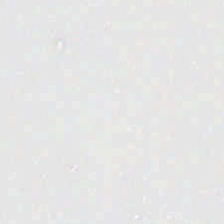H&E stain.
Field content = background (no tissue).
